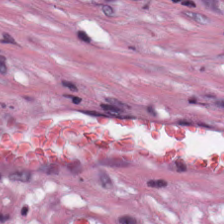Hematoxylin and eosin.
Q: What tissue type is shown here?
A: The field shows tumor-associated stroma.
